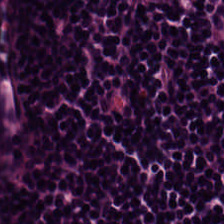Stain: H&E-stained tissue section.
Tissue: lymphocytic infiltrate.
